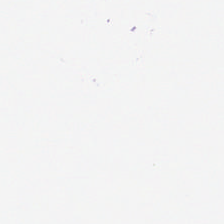Q: What is shown in this field?
A: The field shows background (no tissue).
